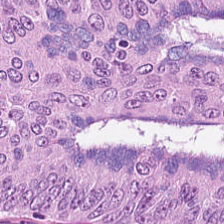Stain: hematoxylin and eosin.
Tile size: 224×224 pixel tile.
Predominant tissue: colorectal adenocarcinoma epithelium.
